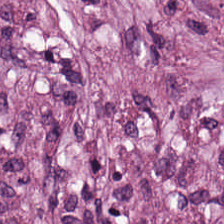The tissue type is tumor-associated stroma.
